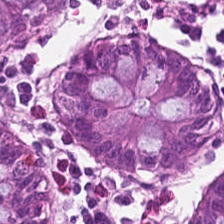Showing normal colonic mucosa.
